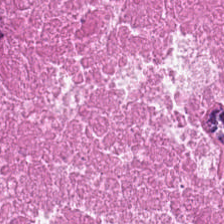224×224 pixel tile. H&E.
The predominant tissue is necrotic debris.
